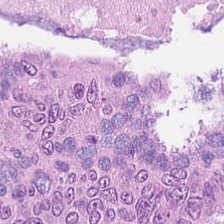Hematoxylin and eosin. Histology → colorectal adenocarcinoma epithelium.
